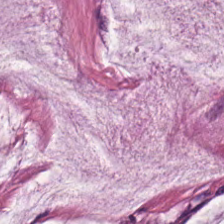Finding — extracellular mucin.
